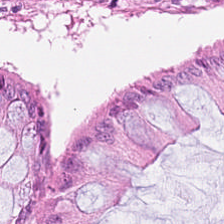224×224 px patch · H&E-stained tissue section. Tissue: normal colonic mucosa.
